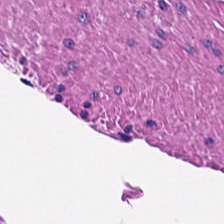Showing smooth muscle.
